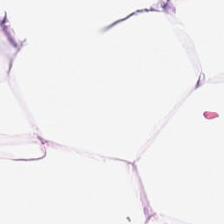Q: Identify the tissue.
A: Adipose.
